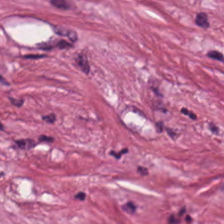This patch shows tumor-associated stroma.
